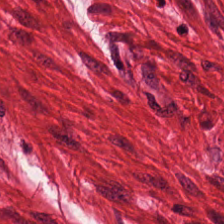H&E stain.
Histology → muscularis.
